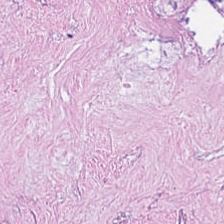H&E · 0.5 microns per pixel · formalin-fixed paraffin-embedded section.
Tissue type — cellular debris.
